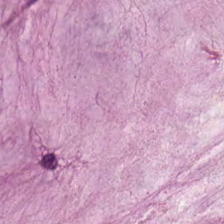Stain: H&E stain.
Tissue type: mucus.
